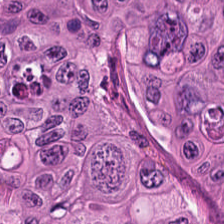H&E stain. Impression → malignant epithelium.
